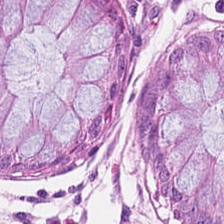224×224 px tile; H&E stain — The predominant tissue is non-neoplastic colon mucosa.
